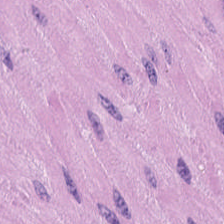Hematoxylin and eosin — Classification: smooth muscle.
